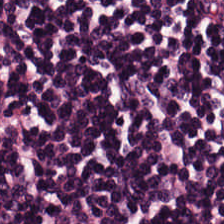H&E. This patch shows lymphocytic infiltrate.
